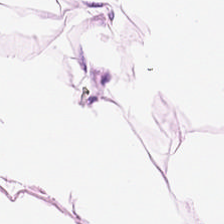H&E · brightfield. {"tissue_type": "adipocytes"}
